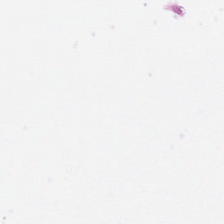Hematoxylin and eosin. This patch shows empty background.
